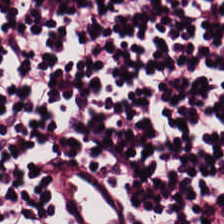Hematoxylin and eosin; 224×224 px tile.
This patch shows lymphocyte aggregate.
